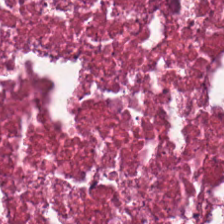H&E patch showing cellular debris.
